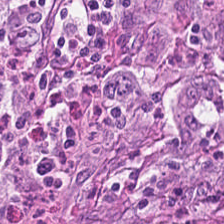Histology → colorectal adenocarcinoma.
